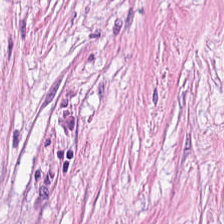H&E-stained tissue section. 224×224 px patch. Tissue class — cancer-associated stroma.
